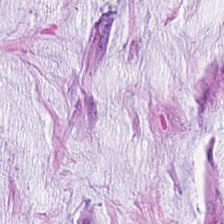H&E-stained tissue section — Impression — mucus.
